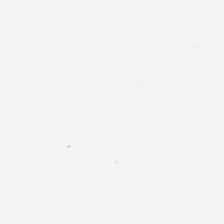H&E stain · FFPE · 0.5 µm/px.
No tissue present; background only.
